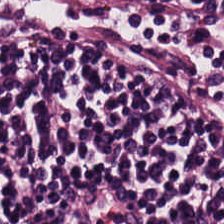Stain: H&E-stained tissue section.
Preparation: formalin-fixed paraffin-embedded section.
Tissue type: lymphoid infiltrate.
